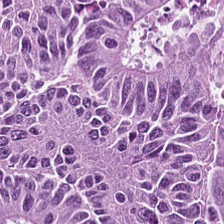Hematoxylin-and-eosin stained section; 224×224 px tile; whole-slide-image patch. Showing tumor epithelium.
